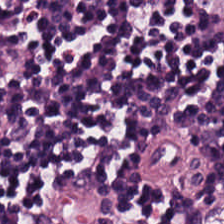Hematoxylin and eosin — Showing lymphocytic infiltrate.
